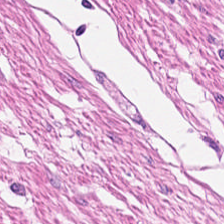H&E-stained tissue section — Smooth muscle.
